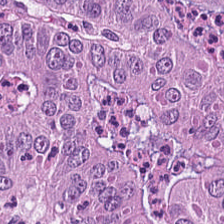Hematoxylin and eosin. This patch shows colorectal adenocarcinoma.
